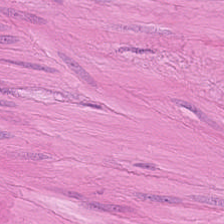Brightfield; hematoxylin and eosin — Q: What does this patch show?
A: Muscularis.
